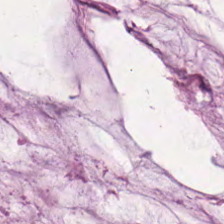Hematoxylin-and-eosin stained section — Q: What is shown in this field?
A: The field shows extracellular mucin.
